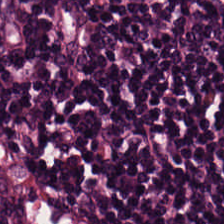224×224 px patch · H&E-stained tissue section — Tissue: lymphoid infiltrate.
